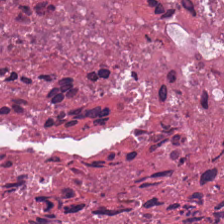Hematoxylin and eosin — Classification — cellular debris.
